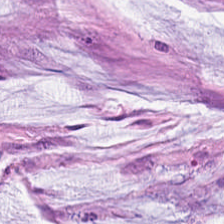H&E-stained tissue section.
Q: What tissue type is shown here?
A: This is mucin.
